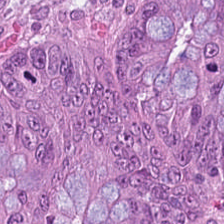Brightfield microscopy · hematoxylin and eosin · FFPE — Adenocarcinoma.
